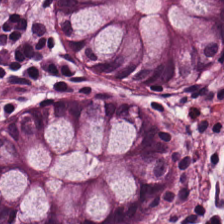The predominant tissue is normal colon mucosa.
